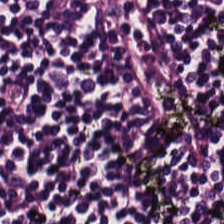0.5 microns per pixel; FFPE tissue section; hematoxylin and eosin. Histology → lymphocyte aggregate.
